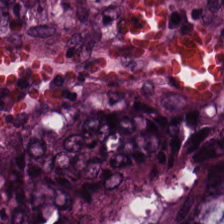H&E-stained tissue section · whole-slide-image patch — The predominant tissue is malignant epithelium.
